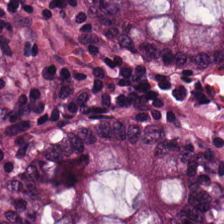20× equivalent magnification. H&E stain — Q: What is the predominant tissue type?
A: The field shows normal colon mucosa.
